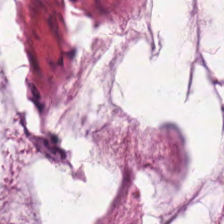Tissue = mucin.
